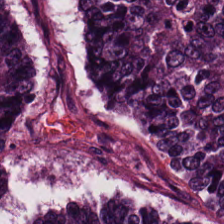224×224 px tile; hematoxylin and eosin.
Q: Identify the tissue.
A: Malignant epithelium.
